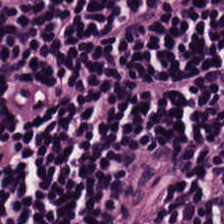224×224 px tile; H&E-stained tissue section — Histology → lymphocyte aggregate.
